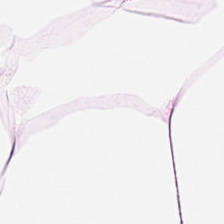Hematoxylin-and-eosin stained section. Fat tissue.
